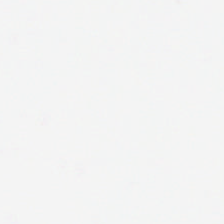224×224 px patch · H&E-stained tissue section · 0.5 µm/px. Background — no tissue in this field.
